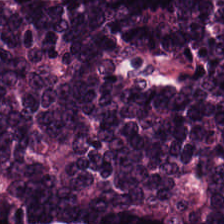FFPE; H&E-stained tissue section.
The tissue here is malignant epithelium.
